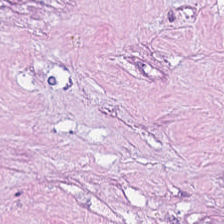Predominantly necrotic debris.
